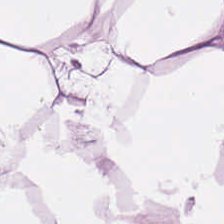Hematoxylin and eosin.
The tissue is fat tissue.
